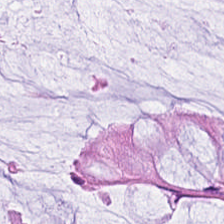FFPE · 224×224 px patch · H&E-stained tissue section.
Predominant tissue = normal colon mucosa.
